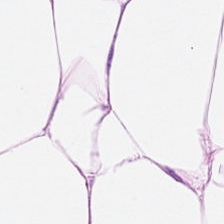Formalin-fixed paraffin-embedded section; H&E.
The tissue type is adipose tissue.
